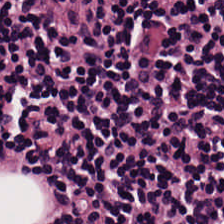H&E stain.
Classification — lymphoid infiltrate.
